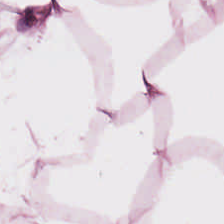Hematoxylin and eosin — Tissue = fat tissue.
